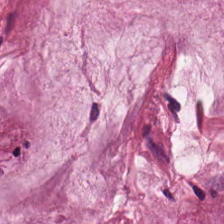Hematoxylin and eosin · 224×224 pixel tile.
Histology — mucus.
